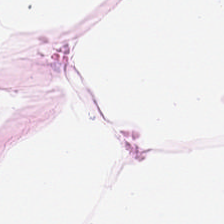Hematoxylin-and-eosin stained section. FFPE tissue section — Predominantly adipose.
